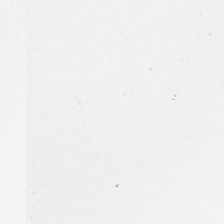FFPE; brightfield microscopy; hematoxylin and eosin. Classification: empty background.
